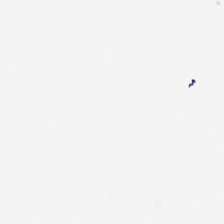0.5 µm/px; H&E stain. Background (no tissue).
